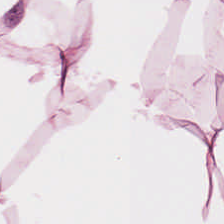This field is adipose tissue.
